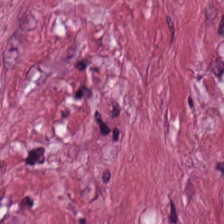H&E · WSI patch.
Tissue: tumor stroma.
